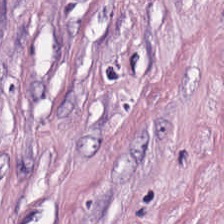H&E-stained tissue section.
Finding — cancer-associated stroma.
